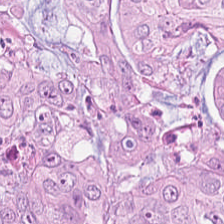Hematoxylin and eosin. 224×224 px patch. The predominant tissue is malignant epithelium.
